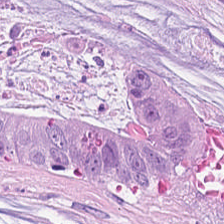Hematoxylin and eosin; 224×224 pixel tile. Q: What is the predominant tissue type?
A: It is mucin.
